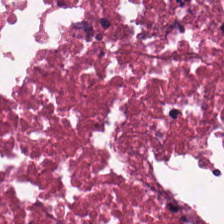224×224 pixel tile. FFPE tissue section. Hematoxylin-and-eosin stained section — Showing cellular debris.
